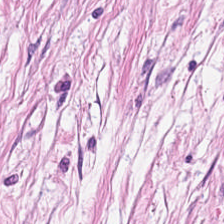Stain: hematoxylin-and-eosin stained section.
Tissue type: tumor stroma.
